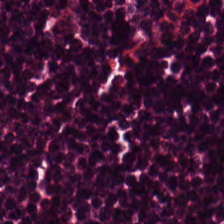H&E — Q: What tissue type is shown here?
A: Lymphocyte aggregate.
